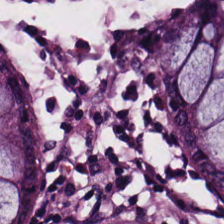Hematoxylin-and-eosin stained section — Q: What tissue is shown?
A: Normal colon mucosa.
